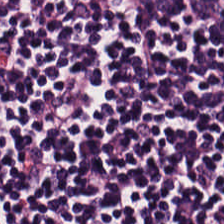Stain: hematoxylin-and-eosin stained section.
Tissue: lymphoid infiltrate.
